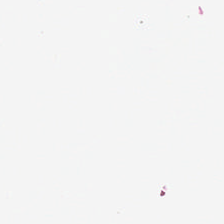H&E — Content: background.
